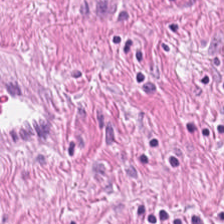H&E-stained tissue section. 224×224 px tile. Predominantly smooth muscle.
